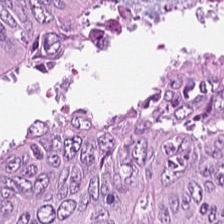Hematoxylin-and-eosin stained section; brightfield. {"tissue_type": "adenocarcinoma"}
